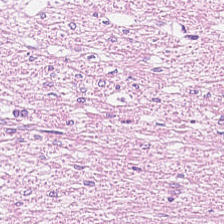Brightfield; H&E stain.
Predominantly smooth-muscle tissue.
